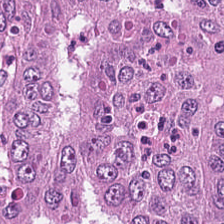H&E-stained tissue section.
The tissue here is colorectal adenocarcinoma epithelium.
